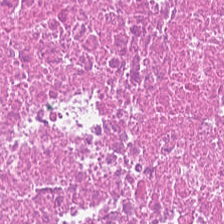Hematoxylin-and-eosin stained section; 20× equivalent magnification. Necrotic debris.
